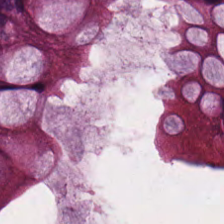Stain: H&E-stained tissue section.
Tissue: non-neoplastic colon mucosa.
